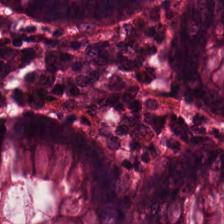FFPE tissue section. Hematoxylin and eosin. Brightfield.
Finding — normal colonic mucosa.
